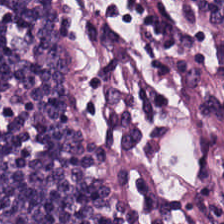Stain: H&E stain.
Tissue class: lymphocyte aggregate.
